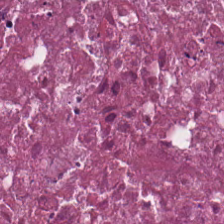Hematoxylin and eosin — Predominantly debris.
